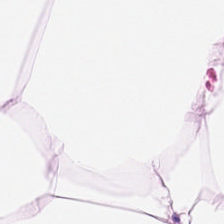The predominant tissue is adipose.
